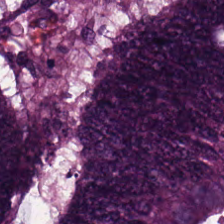Predominant tissue: adenocarcinoma.
